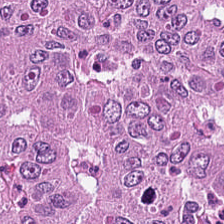0.5 microns per pixel · H&E — Tissue type — colorectal adenocarcinoma epithelium.
